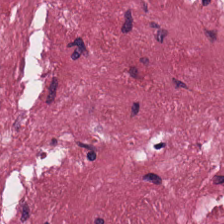Hematoxylin-and-eosin stained section. This field is cancer-associated stroma.
